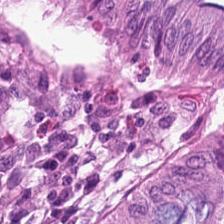224×224 pixel tile · hematoxylin-and-eosin stained section · 0.5 microns per pixel. Tissue: benign colonic mucosa.
